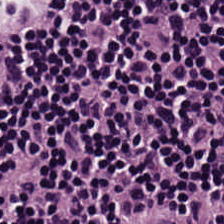Stain: H&E.
Tissue class: lymphocyte aggregate.
